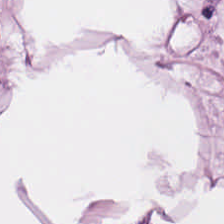Hematoxylin and eosin — This field is fat tissue.
